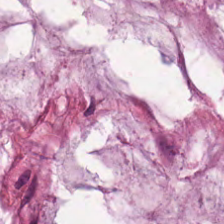Q: Identify the tissue.
A: Mucin.
